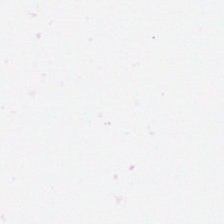Stain: H&E.
Field content: background.
